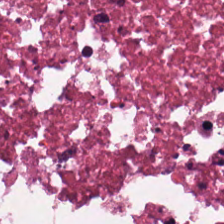Tissue = debris.
